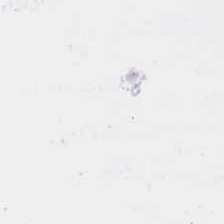Histology — empty background.
